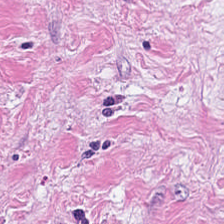The classification is cancer-associated stroma.
